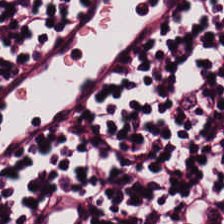H&E. The classification is lymphoid infiltrate.
